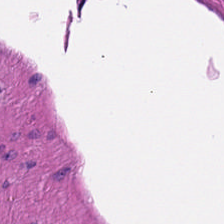H&E — {"tissue_type": "smooth muscle"}
